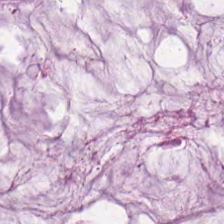Formalin-fixed paraffin-embedded section; H&E stain; 0.5 µm/px. The tissue here is extracellular mucin.
